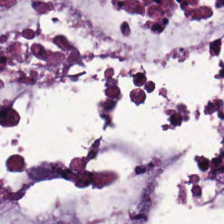Q: Identify the tissue.
A: Extracellular mucin.
